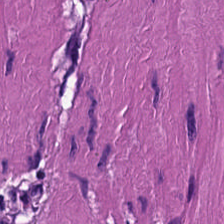Hematoxylin-and-eosin stained section.
Q: What type of tissue is this?
A: The field shows smooth-muscle tissue.
